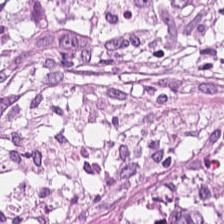Stain: H&E stain.
Acquisition: brightfield.
Classification: tumor stroma.
